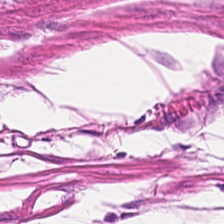20× equivalent magnification · H&E · 224×224 px tile.
Muscularis.
